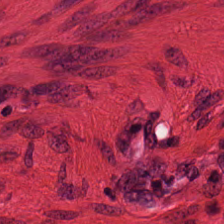H&E stain. Showing smooth-muscle tissue.
